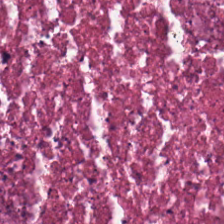{"tissue_type": "cellular debris"}
